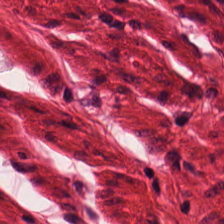Hematoxylin-and-eosin stained section. 224×224 px tile. FFPE tissue section.
Predominant tissue = muscularis.
